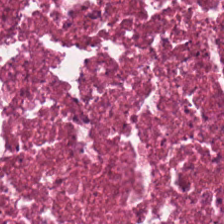Q: What is the predominant tissue type?
A: Necrotic debris.
